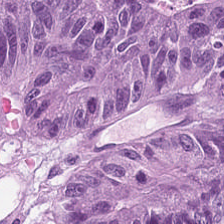Q: What is shown in this field?
A: This is malignant epithelium.
